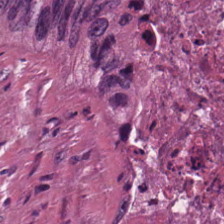Stain: hematoxylin and eosin.
Preparation: FFPE tissue section.
Predominant tissue: cellular debris.
